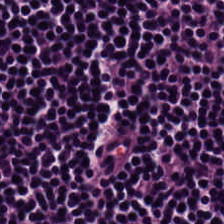Hematoxylin and eosin. The tissue here is lymphocytes.
